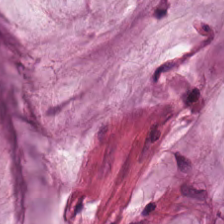Hematoxylin-and-eosin stained section. Predominantly mucus.
